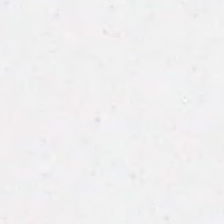H&E stain — Content = no tissue.
